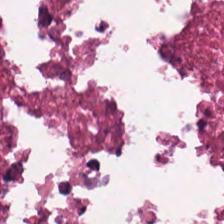H&E-stained tissue section — Histology → necrotic debris.
